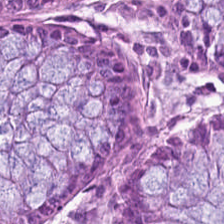H&E patch showing normal colon mucosa.
